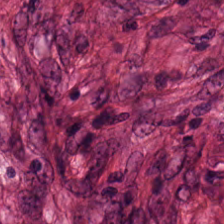0.5 µm per pixel. Hematoxylin-and-eosin stained section — Showing desmoplastic stroma.
